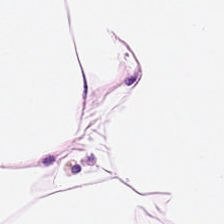FFPE. H&E-stained tissue section. 0.5 µm/px.
{"tissue_type": "adipose"}
